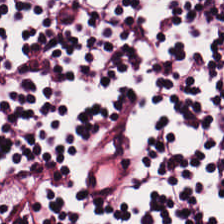FFPE tissue section · hematoxylin-and-eosin stained section.
Finding → lymphoid infiltrate.
